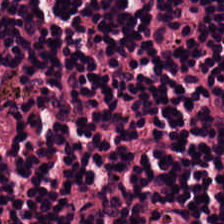Stain: H&E.
Predominant tissue: lymphocytic infiltrate.
